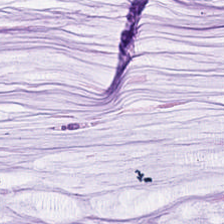H&E-stained tissue section — {"tissue_type": "extracellular mucin"}
